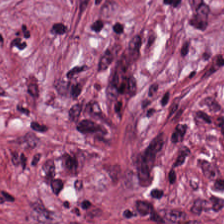Stain: H&E-stained tissue section.
Classification: desmoplastic stroma.
